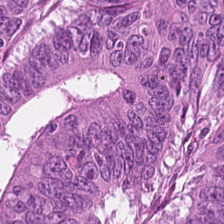Stain: H&E.
Classification: adenocarcinoma.
